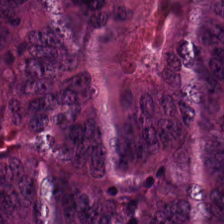Hematoxylin-and-eosin stained section.
Impression → malignant epithelium.
